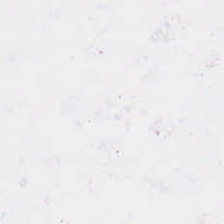H&E stain — This field is background (no tissue).
